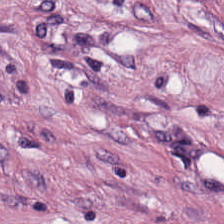Hematoxylin-and-eosin stained section · 0.5 µm/px. The predominant tissue is tumor stroma.
